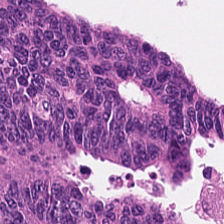Hematoxylin-and-eosin stained section.
This field is colorectal adenocarcinoma epithelium.
